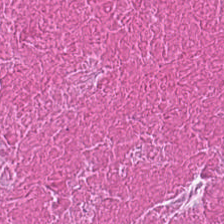Hematoxylin-and-eosin stained section; 224×224 px tile; formalin-fixed paraffin-embedded section.
Classification — debris.
